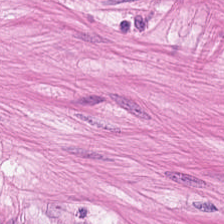Hematoxylin and eosin. Q: What type of tissue is this?
A: This is smooth muscle.
